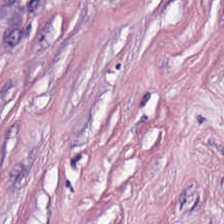Stain: H&E-stained tissue section.
Resolution: 0.5 µm/px.
Tissue: tumor stroma.
